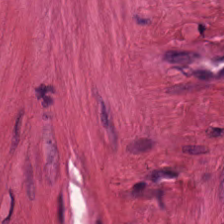WSI patch; H&E stain. This patch shows smooth muscle.
